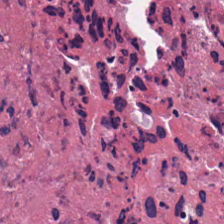H&E-stained section; the field shows necrotic debris.
